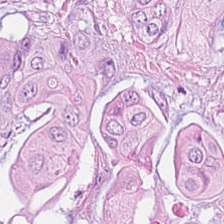Impression → colorectal adenocarcinoma.
